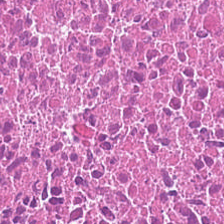H&E stain. Impression → debris.
